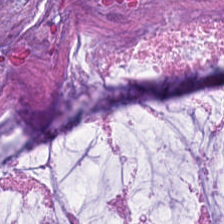0.5 µm per pixel; H&E-stained tissue section.
The predominant tissue is mucin.
